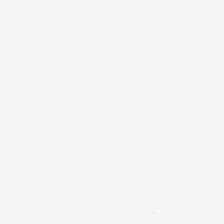H&E stain. No tissue present; background only.
